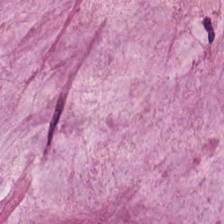H&E stain · whole-slide-image patch. This field is extracellular mucin.
